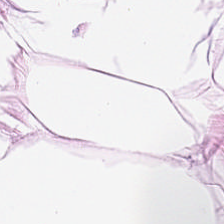Hematoxylin-and-eosin stained section — Showing fat tissue.
